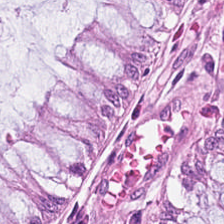H&E stain; 0.5 microns per pixel. Classification = normal colon mucosa.
